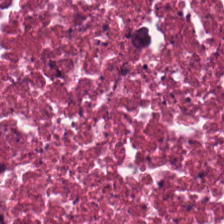Stain: hematoxylin-and-eosin stained section.
Tissue: necrotic debris.
